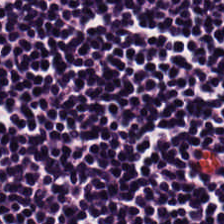Brightfield. H&E stain. FFPE tissue section. Classification — lymphocyte aggregate.
